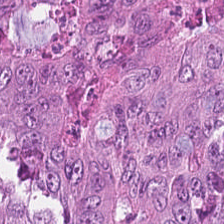Hematoxylin-and-eosin stained section. 0.5 µm per pixel. 224×224 px patch — The tissue is colorectal adenocarcinoma.
